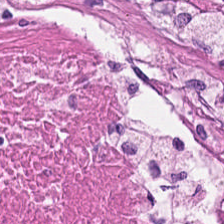H&E. Tissue type: debris.
